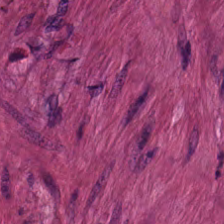H&E-stained tissue section.
Showing smooth-muscle tissue.
